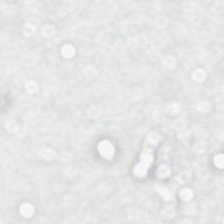Hematoxylin-and-eosin stained section · 0.5 microns per pixel. This field is background (no tissue).
